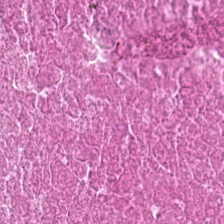224×224 px tile · H&E stain — Q: What is the predominant tissue type?
A: Cellular debris.
